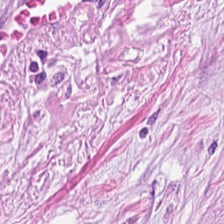Hematoxylin and eosin — This patch shows tumor-associated stroma.
